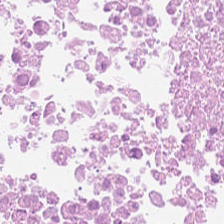H&E-stained tissue section.
Finding → necrotic debris.
